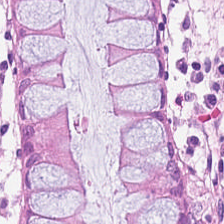224×224 px patch. WSI patch. Hematoxylin-and-eosin stained section — Showing normal colonic mucosa.
